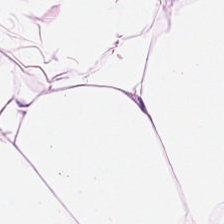H&E — fat tissue.
